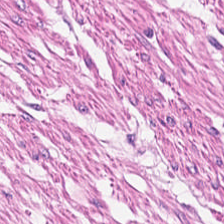Brightfield microscopy · hematoxylin-and-eosin stained section — This patch shows smooth muscle.
